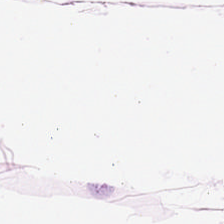20× equivalent magnification · hematoxylin and eosin.
Adipose tissue.
